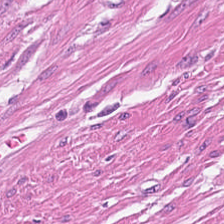224×224 px tile. Hematoxylin-and-eosin stained section — Tissue type = smooth muscle.
